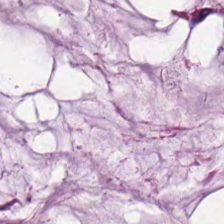Showing mucus.
